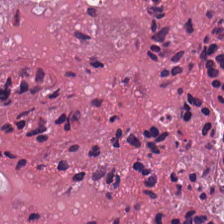H&E stain; 224×224 px patch; whole-slide-image patch — This field is necrotic debris.
